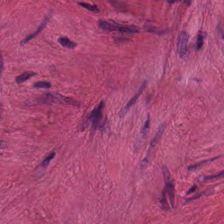Hematoxylin and eosin — Tissue — smooth-muscle tissue.
